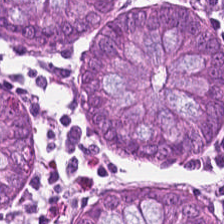H&E-stained tissue section. FFPE tissue section — This field is normal colon mucosa.
